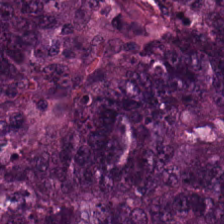Hematoxylin-and-eosin stained section.
Q: What is shown here?
A: The field shows colorectal adenocarcinoma epithelium.
